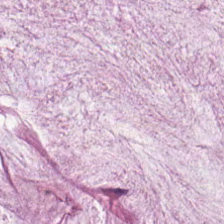Hematoxylin-and-eosin stained section — The predominant tissue is mucus.
